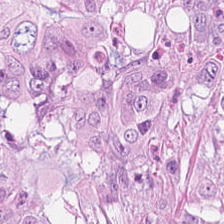224×224 pixel tile. H&E-stained tissue section. 0.5 µm/px — The tissue type is malignant epithelium.
